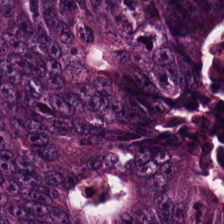Showing adenocarcinoma.
